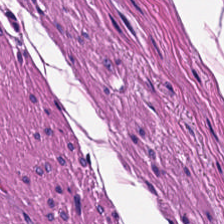Tissue type: muscularis.
